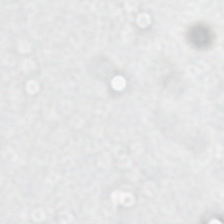Hematoxylin-and-eosin stained section. 20× equivalent magnification — Field content — no tissue.
